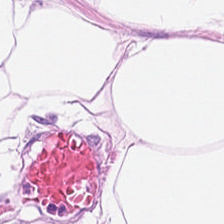Hematoxylin-and-eosin stained section.
The predominant tissue is adipocytes.
